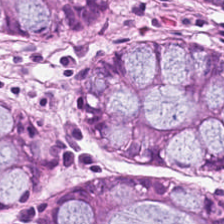Hematoxylin-and-eosin stained section · brightfield.
The tissue here is normal colon mucosa.
